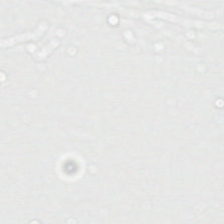H&E-stained tissue section — Content — background (no tissue).
